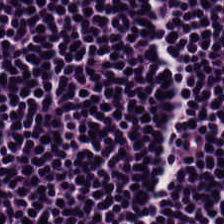H&E stain · brightfield.
{"tissue_type": "lymphocytes"}
